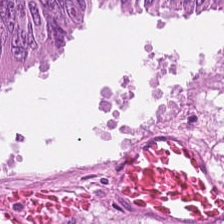H&E-stained tissue section · 0.5 microns per pixel · formalin-fixed paraffin-embedded section. The tissue here is colorectal adenocarcinoma.
